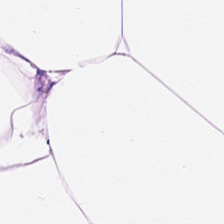Stain: H&E stain.
Tile size: 224×224 px tile.
Acquisition: brightfield microscopy.
Tissue class: adipocytes.
